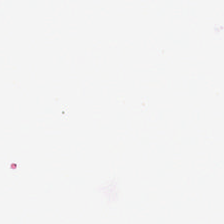Impression — background.
